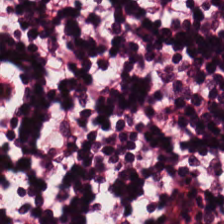Brightfield · hematoxylin and eosin · FFPE — The predominant tissue is lymphocytic infiltrate.
